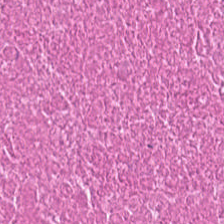H&E; 0.5 µm per pixel.
Predominant tissue: necrotic debris.
